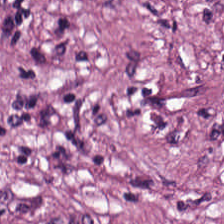20× equivalent magnification. Brightfield microscopy. Hematoxylin and eosin. The classification is desmoplastic stroma.
